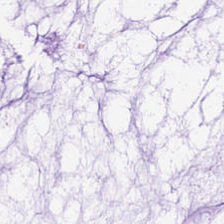Hematoxylin-and-eosin stained section. Q: Identify the tissue.
A: This is mucin.
